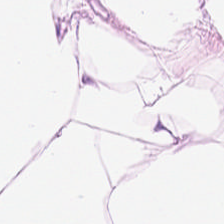H&E stain. WSI patch. 224×224 pixel tile. Q: Identify the tissue.
A: This is adipose tissue.
